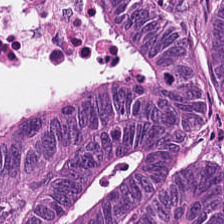{"tissue_type": "malignant epithelium"}
